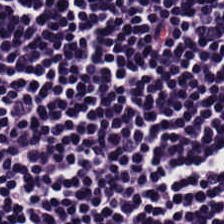H&E-stained tissue section. Q: What is shown in this field?
A: This is lymphocytes.
